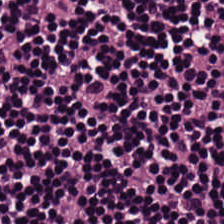Stain: H&E stain.
Tissue: lymphocytic infiltrate.
